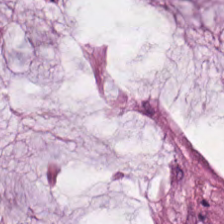WSI patch. H&E.
Extracellular mucin.
